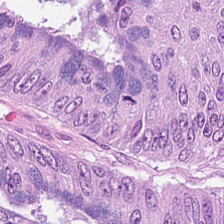H&E stain · WSI patch. The predominant tissue is colorectal adenocarcinoma.
